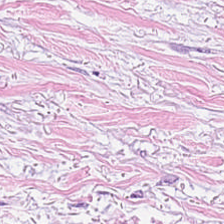Stain: H&E.
Tile size: 224×224 px tile.
Tissue type: cancer-associated stroma.
